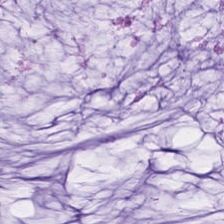Whole-slide-image patch. Hematoxylin and eosin — The tissue here is mucus.
